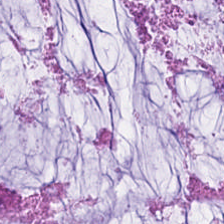H&E. Tissue class = extracellular mucin.
